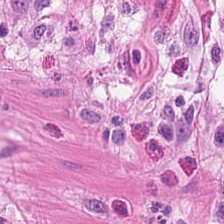20× equivalent magnification · hematoxylin and eosin.
This field is muscularis.
